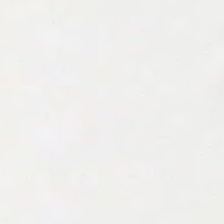Hematoxylin and eosin.
{"content": "empty background"}
